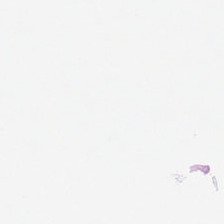H&E · 20× equivalent magnification — Q: Classify this patch.
A: The field shows no tissue.
